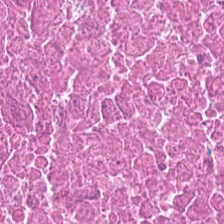H&E stain — Q: What tissue is shown?
A: It is debris.
